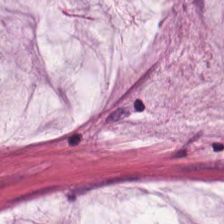WSI patch. H&E.
The tissue here is mucus.
